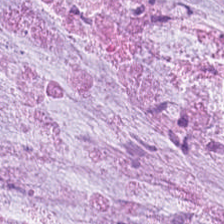H&E-stained tissue section.
Q: What is shown here?
A: It is mucus.
